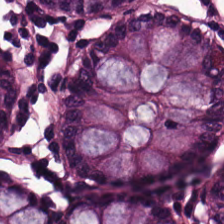Predominant tissue: normal colonic mucosa.
